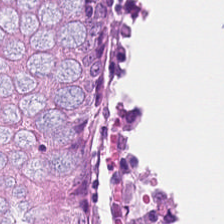Hematoxylin and eosin — This patch shows benign colonic mucosa.
